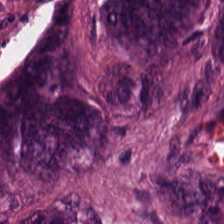0.5 µm/px; H&E.
This patch shows malignant epithelium.
